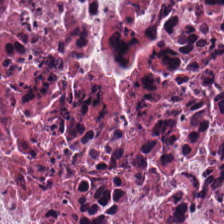Tissue class: debris.
